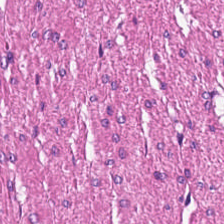FFPE tissue section; H&E-stained tissue section. Tissue type — smooth-muscle tissue.
